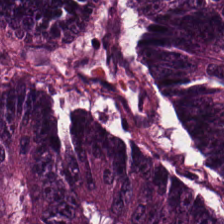Whole-slide-image patch; H&E. Colorectal adenocarcinoma epithelium.
